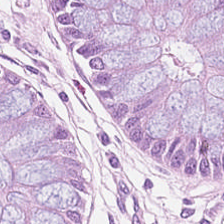H&E stain · 0.5 µm/px. Benign colonic mucosa.
